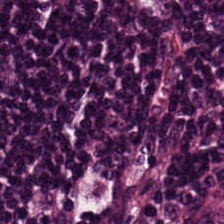{"tissue_type": "lymphocyte aggregate"}
